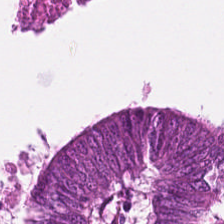Hematoxylin-and-eosin stained section. The predominant tissue is colorectal adenocarcinoma.
